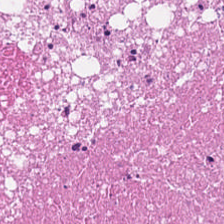FFPE; brightfield; hematoxylin and eosin.
The predominant tissue is debris.
